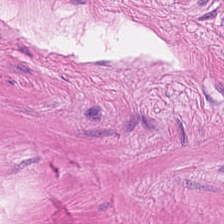H&E-stained tissue section. Finding → smooth-muscle tissue.
